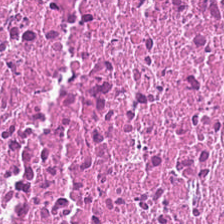{"tissue_type": "necrotic debris"}
